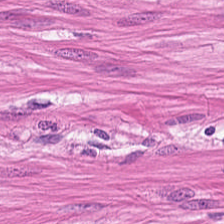Predominant tissue: smooth-muscle tissue.
